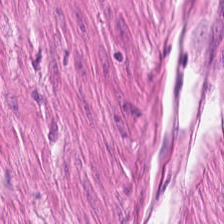H&E.
Q: What tissue is shown?
A: The field shows muscularis.
